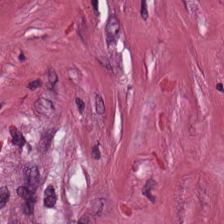H&E-stained tissue section. The predominant tissue is cancer-associated stroma.
